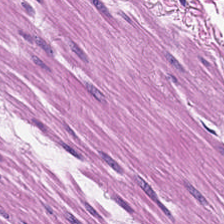Hematoxylin-and-eosin stained section. Q: What is shown here?
A: This is smooth-muscle tissue.
